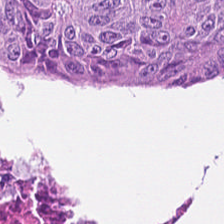Formalin-fixed paraffin-embedded section; 0.5 microns per pixel; H&E — Showing tumor epithelium.
